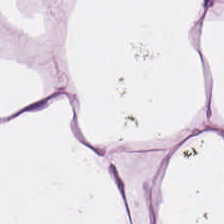Q: What type of tissue is this?
A: This is adipose tissue.
